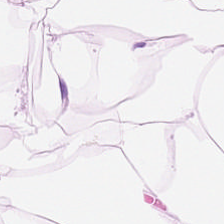Whole-slide-image patch; FFPE tissue section; hematoxylin-and-eosin stained section. The tissue here is adipocytes.
